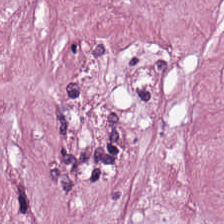224×224 px tile; hematoxylin and eosin; FFPE tissue section.
Q: What tissue type is shown here?
A: It is desmoplastic stroma.
